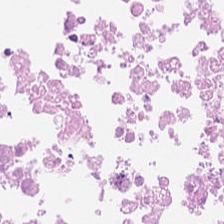H&E — Finding → cellular debris.
